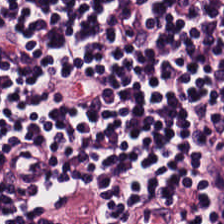20× equivalent magnification; hematoxylin and eosin.
This patch shows lymphocyte aggregate.
